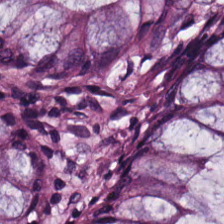20× equivalent magnification; hematoxylin and eosin.
The tissue type is benign colonic mucosa.
